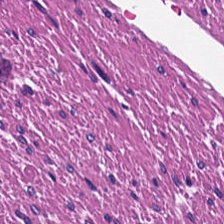Brightfield microscopy. 0.5 microns per pixel. Hematoxylin-and-eosin stained section. Finding → smooth muscle.
